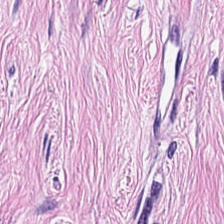0.5 µm/px · H&E stain.
Tissue = tumor-associated stroma.
